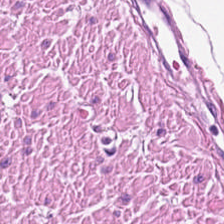Q: What is the predominant tissue type?
A: The field shows smooth-muscle tissue.
